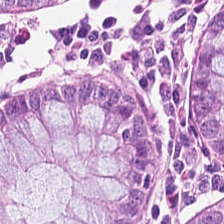Brightfield microscopy · H&E — Non-neoplastic colon mucosa.
